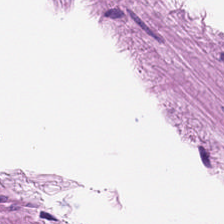The tissue here is muscularis.
